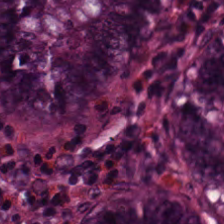FFPE tissue section. Hematoxylin-and-eosin stained section. 0.5 µm/px. The predominant tissue is benign colonic mucosa.
